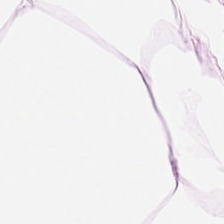Stain: H&E-stained tissue section.
Tile size: 224×224 pixel tile.
Tissue type: adipose tissue.
